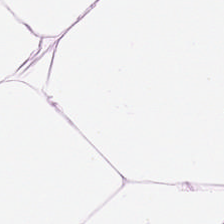Hematoxylin and eosin. Brightfield.
The predominant tissue is adipocytes.
